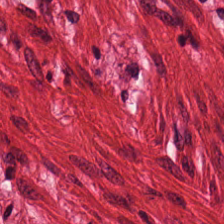H&E-stained tissue section.
Tissue type — smooth muscle.
